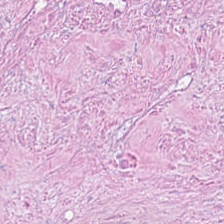H&E-stained section; the field shows cellular debris.
